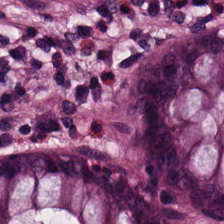Hematoxylin-and-eosin stained section. The predominant tissue is normal colonic mucosa.
